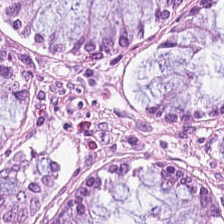H&E stain; FFPE. Non-neoplastic colon mucosa.
